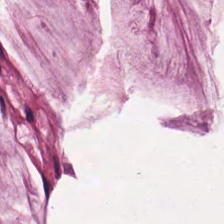H&E. Q: What type of tissue is this?
A: It is mucin.
